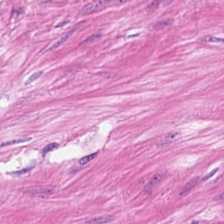Formalin-fixed paraffin-embedded section · hematoxylin-and-eosin stained section. The tissue type is smooth muscle.
